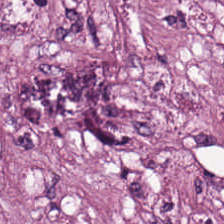This field is tumor stroma.
